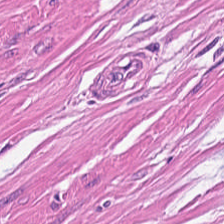H&E stain.
Showing smooth-muscle tissue.
